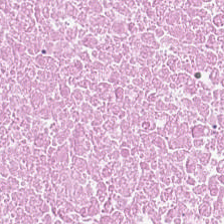Hematoxylin and eosin.
Q: What tissue is shown?
A: Debris.
